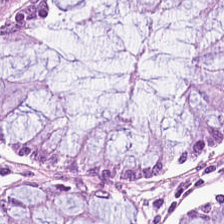The predominant tissue is normal colon mucosa.
